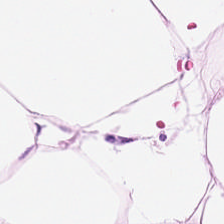Hematoxylin and eosin — This field is adipose tissue.
